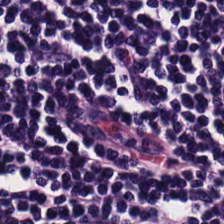Formalin-fixed paraffin-embedded section. 0.5 µm per pixel. H&E stain. Predominantly lymphocyte aggregate.
